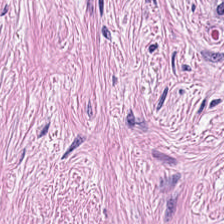Hematoxylin and eosin. 224×224 px patch. Formalin-fixed paraffin-embedded section.
Q: What is the predominant tissue type?
A: Tumor stroma.
